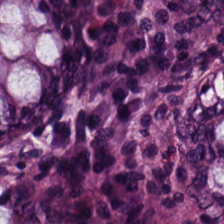20× equivalent magnification. H&E. Formalin-fixed paraffin-embedded section — Q: What is shown in this field?
A: The field shows benign colonic mucosa.
